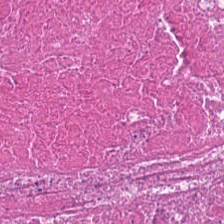H&E stain — The tissue is debris.
